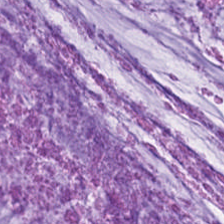This field is mucus.
